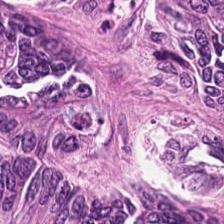H&E-stained tissue section.
The tissue here is colorectal adenocarcinoma epithelium.
